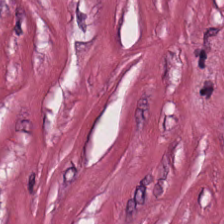{"tissue_type": "tumor stroma"}
